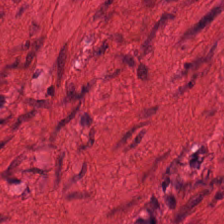WSI patch; H&E stain; 224×224 px tile. The tissue type is muscularis.
